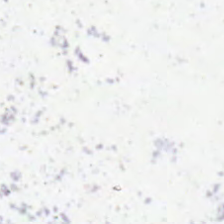H&E stain. The field content is no tissue.
